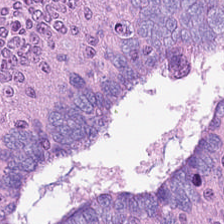Hematoxylin and eosin; FFPE tissue section. The classification is colorectal adenocarcinoma epithelium.
